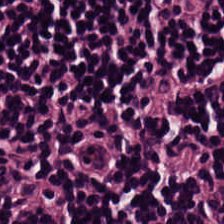Showing lymphocytes.
